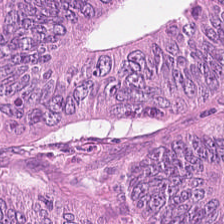Hematoxylin and eosin — Malignant epithelium.
